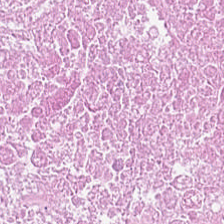Hematoxylin-and-eosin stained section.
The predominant tissue is necrotic debris.
